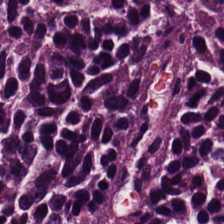Hematoxylin-and-eosin stained section.
Q: Classify this patch.
A: This is lymphoid infiltrate.
